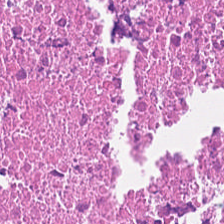H&E — Predominant tissue — debris.
